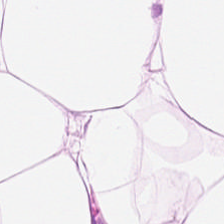Hematoxylin and eosin. Tissue class: adipose tissue.
